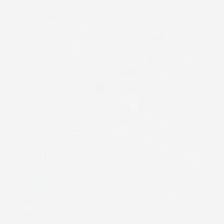Hematoxylin-and-eosin stained section — Q: Classify this patch.
A: No tissue.
